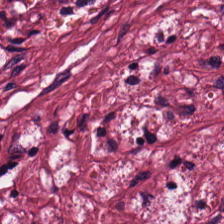H&E patch showing cancer-associated stroma.
